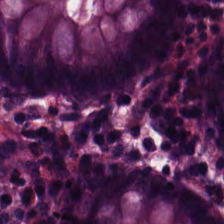H&E stain. 20× equivalent magnification. 224×224 px tile.
Q: Classify this patch.
A: It is benign colonic mucosa.
